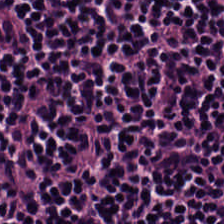Hematoxylin and eosin.
Showing lymphocytes.
